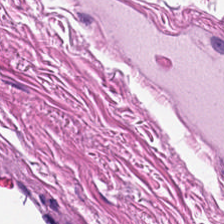This field is smooth-muscle tissue.
